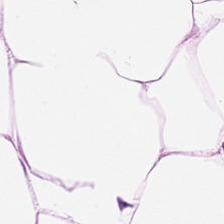Fat tissue.
